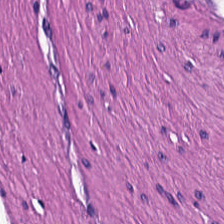224×224 pixel tile. Brightfield. Hematoxylin and eosin.
Impression — muscularis.
